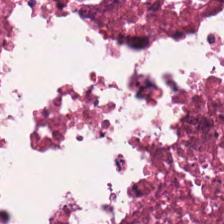Formalin-fixed paraffin-embedded section. H&E-stained tissue section. Q: What is shown in this field?
A: This is cellular debris.
